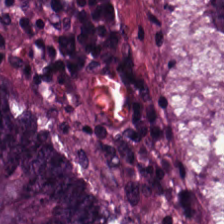H&E-stained tissue section — The tissue here is colorectal adenocarcinoma epithelium.
